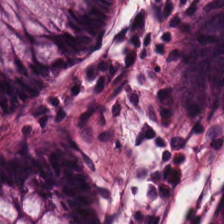H&E.
Tissue = normal colon mucosa.
